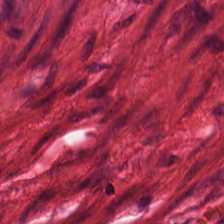H&E — Showing smooth-muscle tissue.
